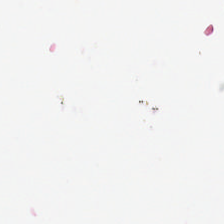224×224 px patch; brightfield; H&E-stained tissue section.
Field content — background.
